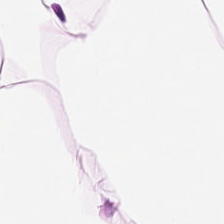Classification: fat tissue.
